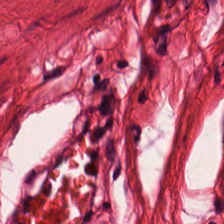0.5 µm/px; brightfield; H&E. Q: Classify this patch.
A: It is smooth muscle.
